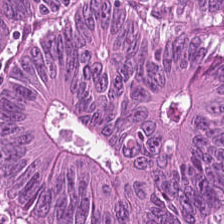Hematoxylin and eosin.
The predominant tissue is adenocarcinoma.
